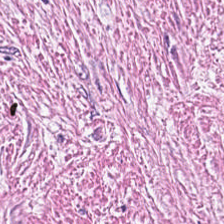Hematoxylin and eosin — This patch shows cancer-associated stroma.
